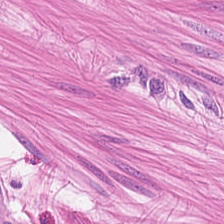H&E stain — The predominant tissue is muscularis.
